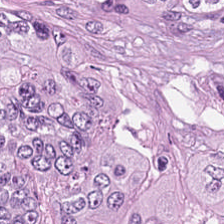Brightfield microscopy · 0.5 microns per pixel · hematoxylin-and-eosin stained section — Q: What type of tissue is this?
A: The field shows adenocarcinoma.
